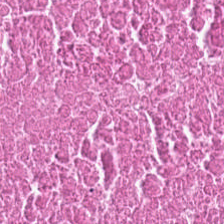The tissue type is necrotic debris.
